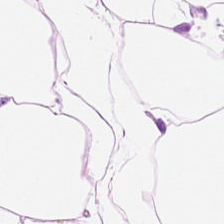H&E stain. FFPE — Fat tissue.
